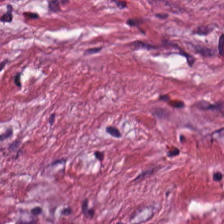Whole-slide-image patch; hematoxylin and eosin.
Tumor stroma.
